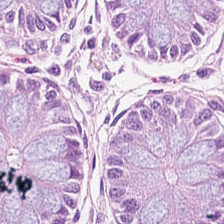H&E-stained tissue section.
This patch shows normal colonic mucosa.
